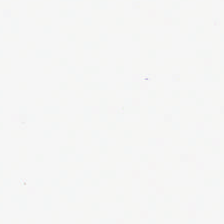Hematoxylin-and-eosin stained section — This field is background (no tissue).
